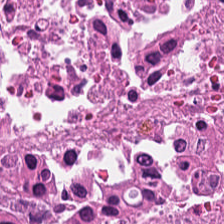{"tissue_type": "debris"}
